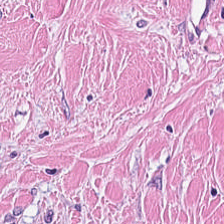H&E. Impression — tumor-associated stroma.
